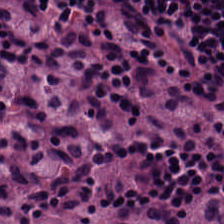H&E stain.
Lymphocytes.
